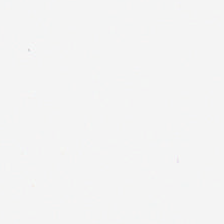Background.
